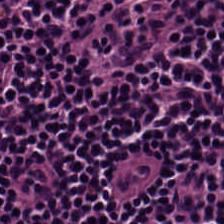Stain: H&E stain.
Classification: lymphocyte aggregate.
